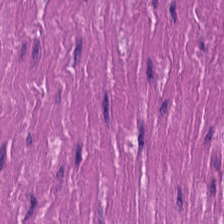H&E patch showing muscularis.
